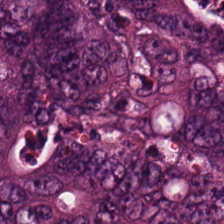Q: What tissue type is shown here?
A: It is colorectal adenocarcinoma epithelium.
